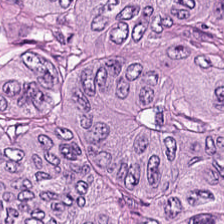H&E stain — Tissue class = colorectal adenocarcinoma epithelium.
